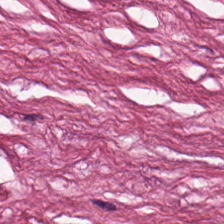Hematoxylin and eosin · 224×224 px tile.
Tissue class — necrotic debris.
